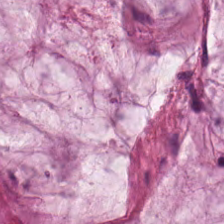The tissue type is extracellular mucin.
